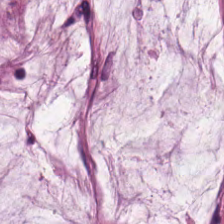Tissue class = extracellular mucin.
